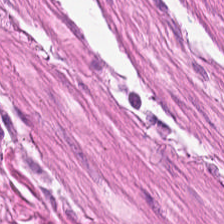224×224 pixel tile · brightfield · hematoxylin and eosin — Predominantly muscularis.
